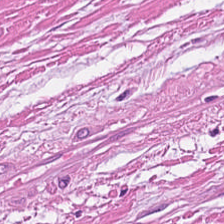H&E stain.
Tissue = smooth muscle.
